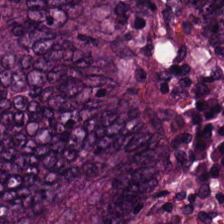Predominant tissue: malignant epithelium.
